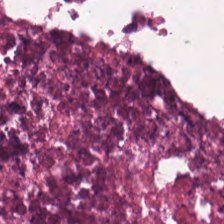Hematoxylin-and-eosin stained section — {"tissue_type": "necrotic debris"}
